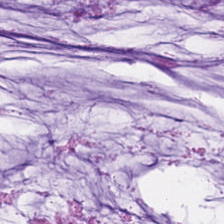Stain: hematoxylin-and-eosin stained section.
Tile size: 224×224 px patch.
Tissue type: extracellular mucin.
